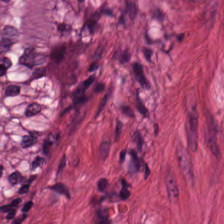Hematoxylin-and-eosin stained section. 224×224 pixel tile — Q: What is shown here?
A: It is muscularis.
